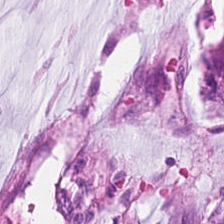H&E-stained tissue section. Brightfield microscopy. 0.5 microns per pixel.
{"tissue_type": "extracellular mucin"}
